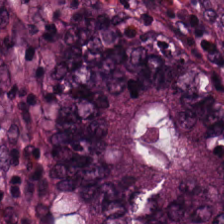Stain: hematoxylin-and-eosin stained section.
Predominant tissue: malignant epithelium.
